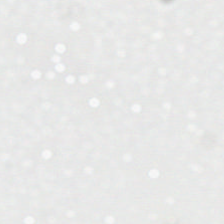H&E; formalin-fixed paraffin-embedded section. Background — no tissue in this field.
